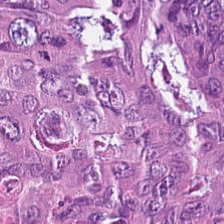0.5 microns per pixel; H&E stain.
This field is adenocarcinoma.
